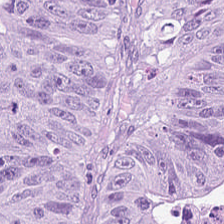H&E — Adenocarcinoma.
